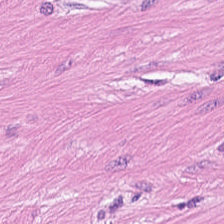Q: What is the predominant tissue type?
A: It is smooth-muscle tissue.
